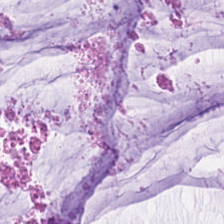H&E-stained tissue section. This patch shows extracellular mucin.
